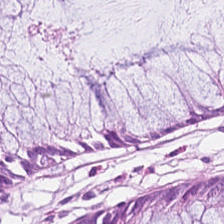Hematoxylin-and-eosin stained section. Formalin-fixed paraffin-embedded section — Q: Classify this patch.
A: The field shows normal colon mucosa.
